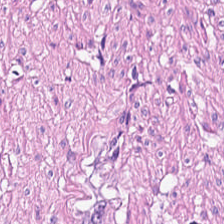H&E stain — Histology → smooth-muscle tissue.
